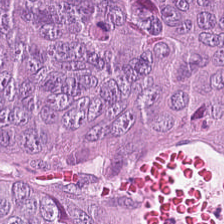Hematoxylin-and-eosin section: tumor epithelium.
